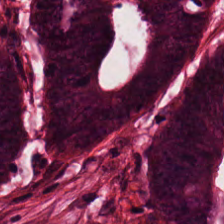H&E-stained tissue section. This patch shows adenocarcinoma.
